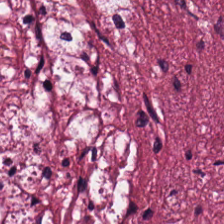20× equivalent magnification; hematoxylin and eosin.
The predominant tissue is tumor-associated stroma.
